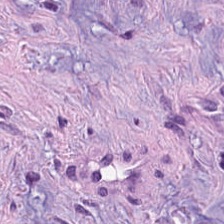The predominant tissue is tumor stroma.
